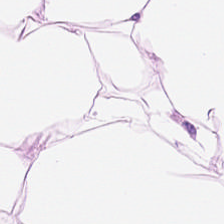Hematoxylin-and-eosin stained section. Tissue type: adipocytes.
